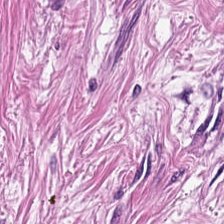Predominant tissue: tumor-associated stroma.
